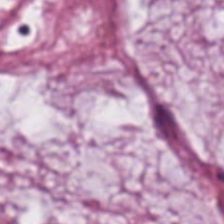H&E.
Q: What is the predominant tissue type?
A: Mucin.
